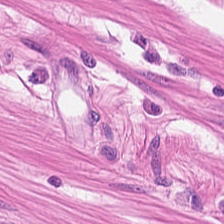Hematoxylin and eosin. The tissue here is muscularis.
